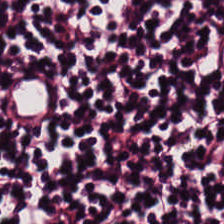H&E-stained tissue section — The tissue is lymphocyte aggregate.
